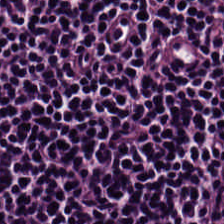Hematoxylin and eosin. This field is lymphoid infiltrate.
